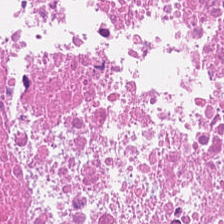Brightfield. H&E stain. Q: Classify this patch.
A: Debris.
